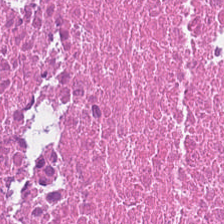H&E-stained tissue section.
The tissue type is necrotic debris.
